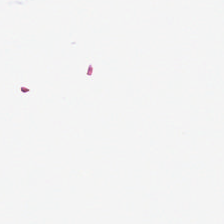H&E — The field content is background (no tissue).
